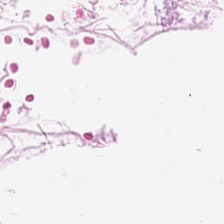Stain: H&E stain.
Tissue: adipose tissue.
